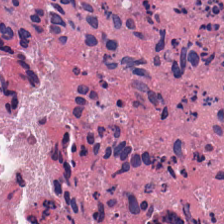Stain: H&E.
Tissue class: debris.
